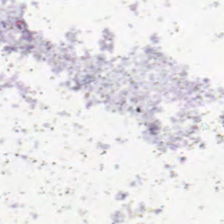The field content is background (no tissue).
